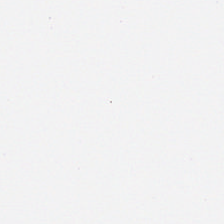Formalin-fixed paraffin-embedded section; H&E; WSI patch. Histology → empty background.
